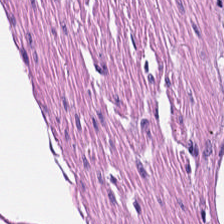H&E-stained tissue section · formalin-fixed paraffin-embedded section.
Predominant tissue = muscularis.
